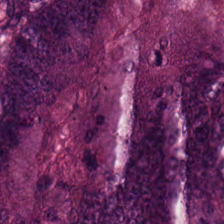Stain: H&E stain.
Predominant tissue: colorectal adenocarcinoma epithelium.
